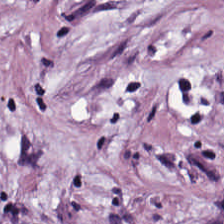Tissue class = cancer-associated stroma.
